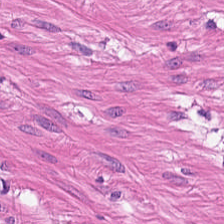Whole-slide-image patch; hematoxylin and eosin. Tissue = smooth muscle.
